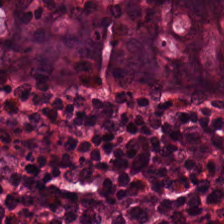Hematoxylin-and-eosin stained section — Finding — benign colonic mucosa.
